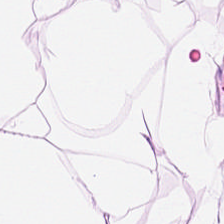Stain: hematoxylin-and-eosin stained section.
Acquisition: WSI patch.
Preparation: FFPE.
Tissue: adipocytes.
